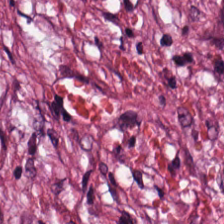H&E. Impression — cancer-associated stroma.
